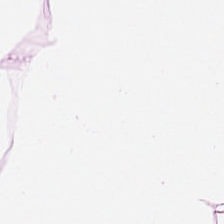H&E.
Q: What is the predominant tissue type?
A: Adipose.
